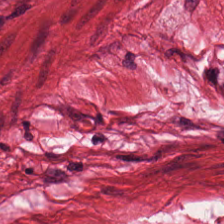H&E.
The tissue here is muscularis.
